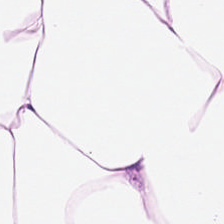Hematoxylin and eosin — Showing adipose.
